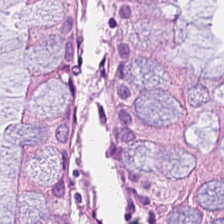FFPE tissue section; 20× equivalent magnification; hematoxylin and eosin.
Predominantly normal colon mucosa.
